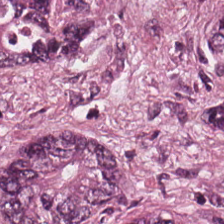H&E-stained tissue section. This patch shows colorectal adenocarcinoma epithelium.
